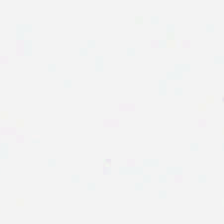WSI patch · hematoxylin-and-eosin stained section. No tissue present; background only.
